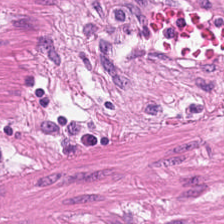224×224 px tile; H&E-stained tissue section.
Q: What is shown here?
A: The field shows smooth muscle.
